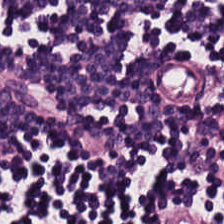20× equivalent magnification. Whole-slide-image patch. Hematoxylin-and-eosin stained section — This field is lymphocytes.
